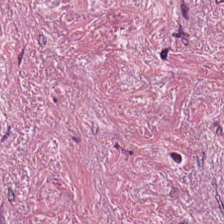H&E-stained tissue section; 224×224 pixel tile.
Q: What does this patch show?
A: This is desmoplastic stroma.
